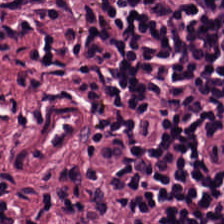Hematoxylin-and-eosin stained section.
The predominant tissue is lymphocytes.
